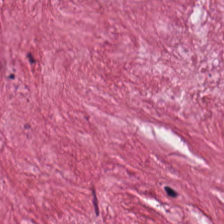H&E stain — Tumor stroma.
